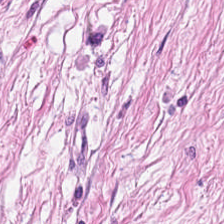224×224 pixel tile; H&E-stained tissue section.
Finding — desmoplastic stroma.
